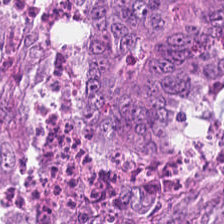Hematoxylin-and-eosin stained section. Showing colorectal adenocarcinoma.
